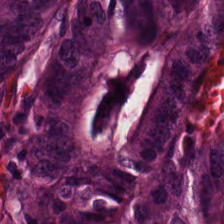H&E.
{"tissue_type": "colorectal adenocarcinoma"}
